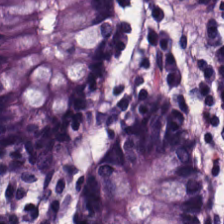Stain: hematoxylin-and-eosin stained section.
Resolution: 20× equivalent magnification.
Acquisition: brightfield.
Classification: non-neoplastic colon mucosa.
